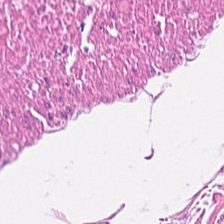Classification: smooth muscle.
